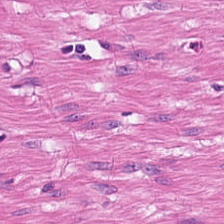Impression → muscularis.
